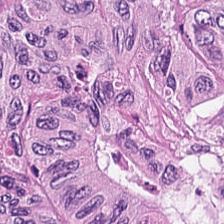H&E — This patch shows tumor epithelium.
